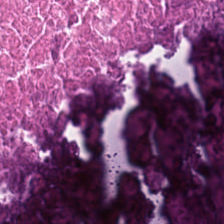H&E stain. Predominantly necrotic debris.
